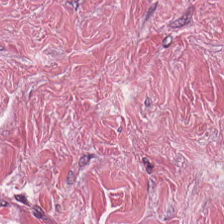224×224 px tile; hematoxylin-and-eosin stained section — {"tissue_type": "tumor-associated stroma"}
